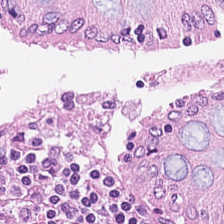{"tissue_type": "benign colonic mucosa"}
